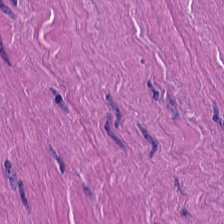This field is muscularis.
